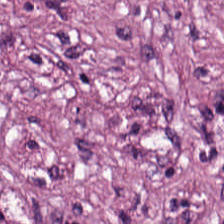Q: What is the predominant tissue type?
A: The field shows cancer-associated stroma.
